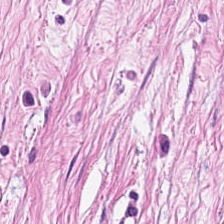Hematoxylin-and-eosin stained section. Tissue = cancer-associated stroma.
